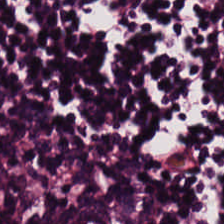0.5 µm per pixel. Hematoxylin and eosin. This field is lymphocyte aggregate.
